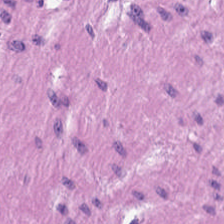0.5 microns per pixel · hematoxylin and eosin. Classification: muscularis.
